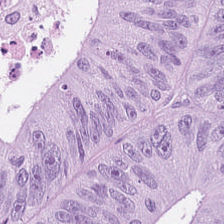WSI patch. FFPE. H&E stain. Q: What type of tissue is this?
A: Colorectal adenocarcinoma.
